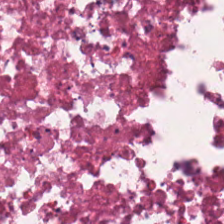The classification is debris.
